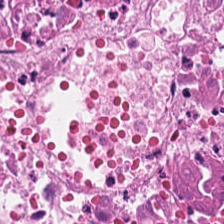Hematoxylin and eosin; brightfield; FFPE tissue section — Debris.
